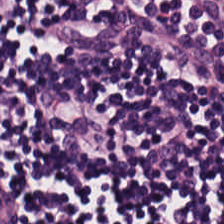Finding → lymphocyte aggregate.
